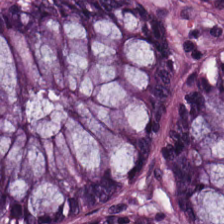Q: Identify the tissue.
A: It is benign colonic mucosa.
